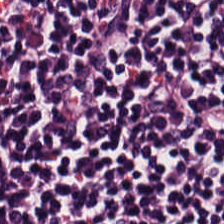Brightfield. 224×224 pixel tile. H&E stain.
The tissue here is lymphocytic infiltrate.
